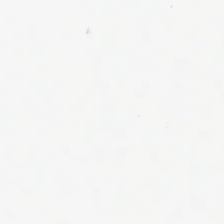H&E stain. This patch shows background.
